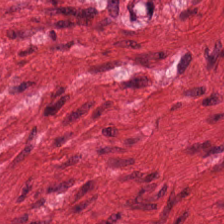Hematoxylin-and-eosin stained section — Tissue — smooth-muscle tissue.
